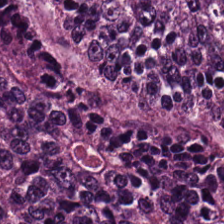Q: What is shown in this field?
A: The field shows adenocarcinoma.
